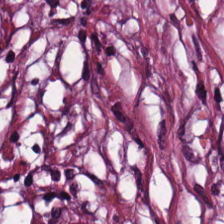224×224 px patch · H&E. Q: What is shown here?
A: This is cancer-associated stroma.
